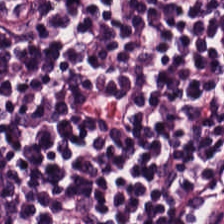0.5 µm/px. Formalin-fixed paraffin-embedded section. Hematoxylin-and-eosin stained section. Tissue class = lymphocytes.
